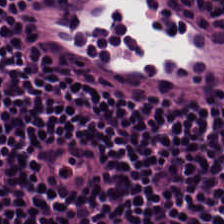The tissue class is lymphocyte aggregate.
